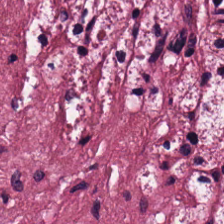Stain: H&E-stained tissue section.
Acquisition: WSI patch.
Classification: tumor-associated stroma.
